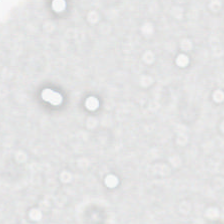Hematoxylin and eosin · 0.5 µm per pixel.
Field content — background (no tissue).
